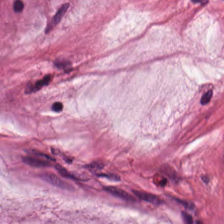H&E — mucin.
